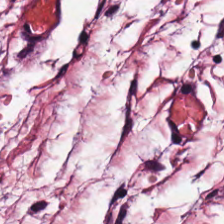224×224 pixel tile · hematoxylin-and-eosin stained section. Q: What is shown in this field?
A: It is tumor-associated stroma.
